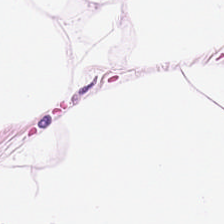H&E-stained section; the field shows adipocytes.
